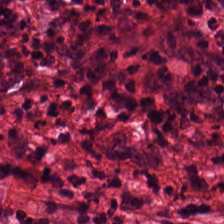0.5 µm/px. H&E — Q: What is shown in this field?
A: It is desmoplastic stroma.
